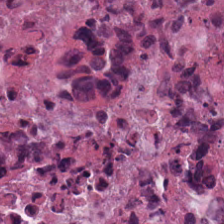H&E stain. FFPE tissue section. WSI patch — Tissue class: cellular debris.
